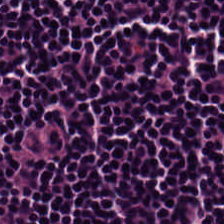H&E stain — Q: What is the predominant tissue type?
A: The field shows lymphocytic infiltrate.
